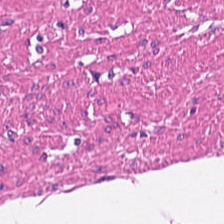Hematoxylin and eosin.
Q: What is the predominant tissue type?
A: The field shows smooth muscle.
